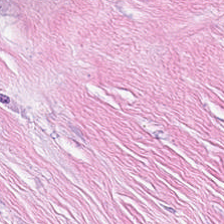Brightfield microscopy · 224×224 pixel tile · H&E-stained tissue section. Q: What tissue type is shown here?
A: The field shows desmoplastic stroma.
